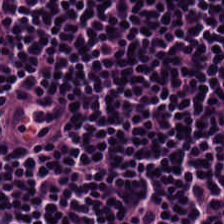H&E-stained tissue section. Impression → lymphocyte aggregate.
